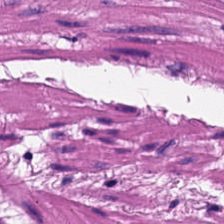Hematoxylin-and-eosin stained section — This patch shows smooth-muscle tissue.
